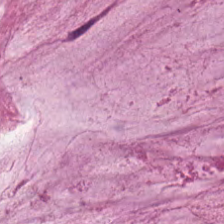FFPE · H&E stain.
The tissue here is extracellular mucin.
